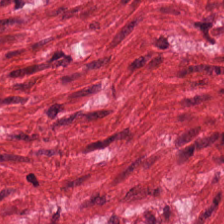Stain: H&E-stained tissue section.
Acquisition: whole-slide-image patch.
Preparation: FFPE.
Tissue type: smooth muscle.
